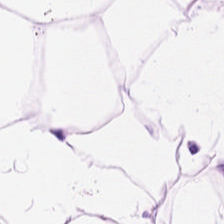Classification: adipocytes.
